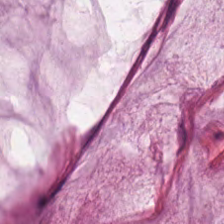Q: What tissue type is shown here?
A: Mucus.
